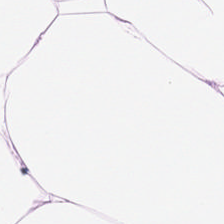224×224 px tile. Hematoxylin and eosin — This patch shows adipose tissue.
